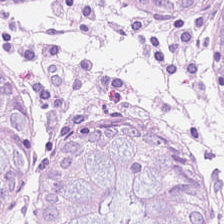0.5 µm per pixel; 224×224 px tile; H&E.
Tissue = normal colon mucosa.
